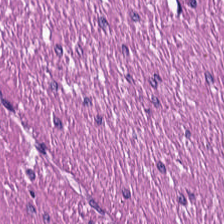FFPE · H&E-stained tissue section.
Predominantly smooth-muscle tissue.
